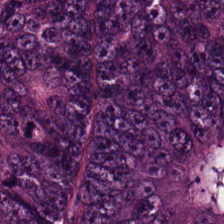Hematoxylin-and-eosin stained section.
Tissue class = tumor epithelium.
